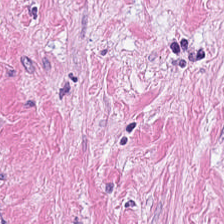H&E stain; 224×224 px patch; brightfield microscopy.
Tissue type: desmoplastic stroma.
